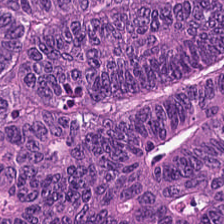0.5 µm/px · FFPE tissue section · hematoxylin-and-eosin stained section. Tissue class: tumor epithelium.
